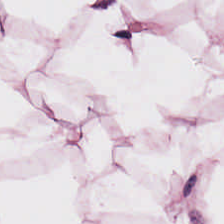Brightfield microscopy. H&E.
Tissue type = adipose.
